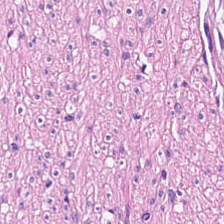Brightfield microscopy; hematoxylin and eosin.
{"tissue_type": "smooth muscle"}
